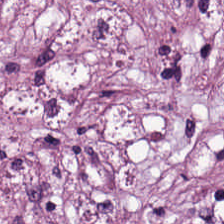224×224 px patch · whole-slide-image patch · H&E.
Impression → desmoplastic stroma.
